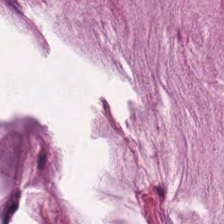H&E stain. Tissue class: mucus.
